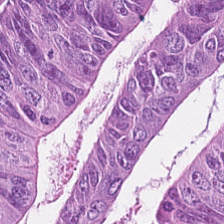Stain: hematoxylin-and-eosin stained section.
Preparation: formalin-fixed paraffin-embedded section.
Tissue class: colorectal adenocarcinoma epithelium.
